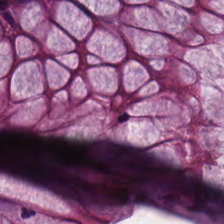H&E stain. WSI patch — Tissue type = normal colon mucosa.
